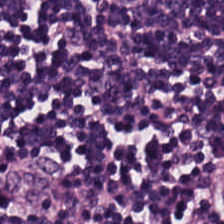Hematoxylin and eosin; 224×224 px patch; 0.5 µm/px. The tissue here is lymphoid infiltrate.
